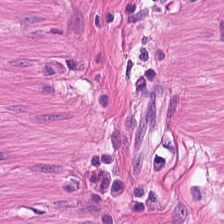Stain: H&E.
Tissue class: smooth muscle.
